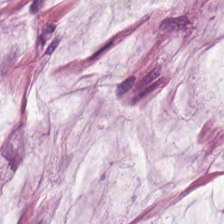H&E-stained section; the field shows extracellular mucin.
